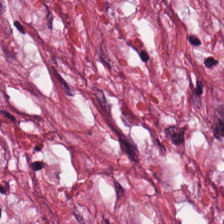This patch shows tumor stroma.
